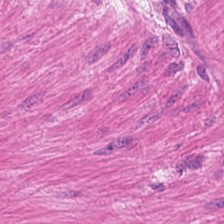H&E stain. The tissue here is smooth muscle.
